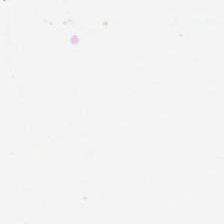Brightfield · H&E stain.
{"content": "empty background"}
